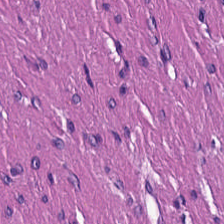Hematoxylin-and-eosin stained section — This patch shows muscularis.
